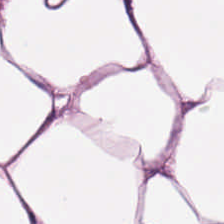Stain: H&E.
Preparation: FFPE.
Acquisition: whole-slide-image patch.
Tissue type: fat tissue.
